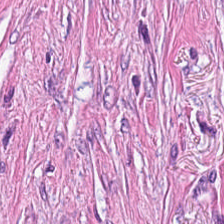Stain: H&E-stained tissue section.
Acquisition: brightfield microscopy.
Predominant tissue: tumor-associated stroma.
